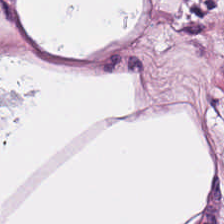Hematoxylin-and-eosin stained section.
The tissue here is adipocytes.
